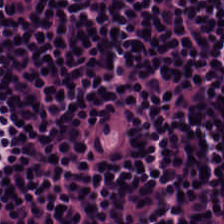0.5 microns per pixel; hematoxylin-and-eosin stained section. Impression → lymphoid infiltrate.
